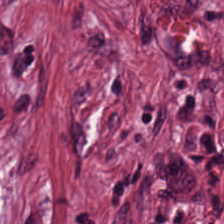Finding — desmoplastic stroma.
